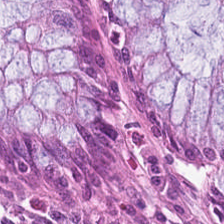Tissue class: benign colonic mucosa.
